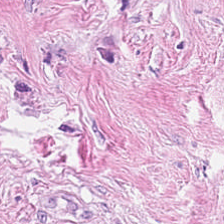H&E; 0.5 µm per pixel; 224×224 px tile.
Tumor stroma.
